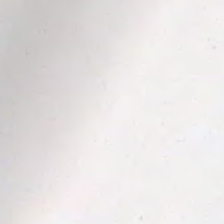Field content: no tissue.
